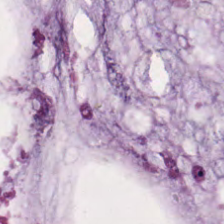H&E stain.
Q: Classify this patch.
A: The field shows mucin.
